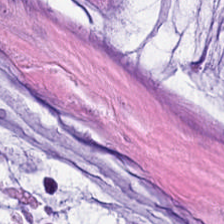H&E stain. Showing mucus.
